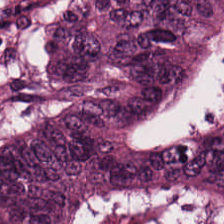The predominant tissue is malignant epithelium.
